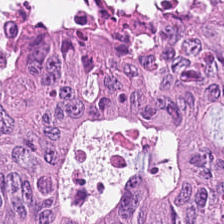H&E-stained section; the field shows tumor epithelium.
